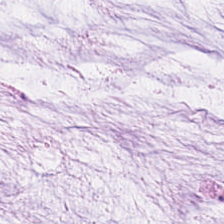Stain: H&E stain.
Tile size: 224×224 px tile.
Preparation: FFPE tissue section.
Tissue class: extracellular mucin.
